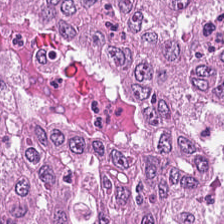H&E-stained tissue section — Classification: tumor epithelium.
